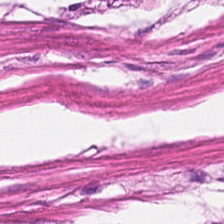224×224 px tile. H&E-stained tissue section — Muscularis.
